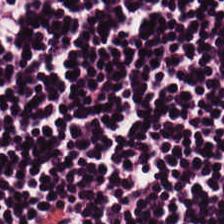Hematoxylin and eosin. Histology — lymphocyte aggregate.
